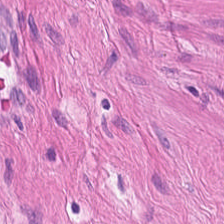The classification is muscularis.
